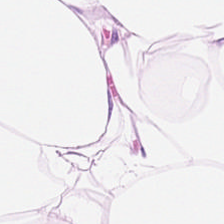Hematoxylin-and-eosin stained section · 20× equivalent magnification — Predominant tissue: adipose tissue.
